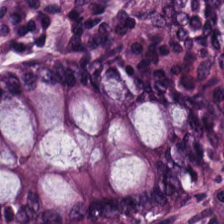Hematoxylin and eosin. Brightfield. 20× equivalent magnification — Histology → benign colonic mucosa.
